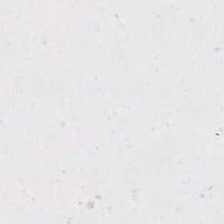H&E — Background — no tissue in this field.
